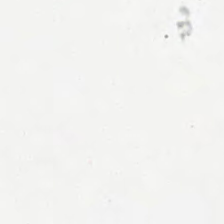H&E stain — Q: What is shown here?
A: Background.
